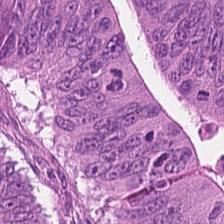Tissue class — colorectal adenocarcinoma.
